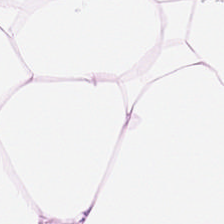H&E stain · 224×224 px patch. Showing adipose tissue.
